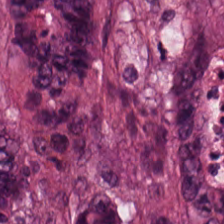WSI patch · formalin-fixed paraffin-embedded section · hematoxylin-and-eosin stained section — The tissue type is malignant epithelium.
